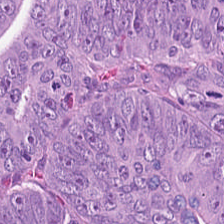224×224 px tile. H&E stain.
Predominantly malignant epithelium.
